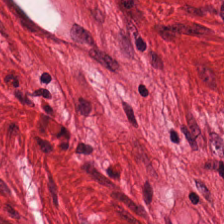Hematoxylin-and-eosin stained section.
Classification = smooth-muscle tissue.
